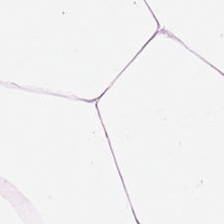H&E — Adipocytes.
